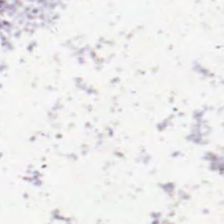H&E-stained tissue section; 224×224 px tile — Classification = no tissue.
